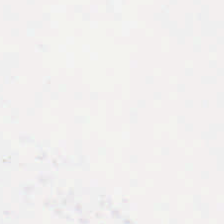WSI patch · 0.5 microns per pixel · H&E stain — No tissue present; background only.
